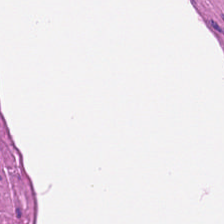Hematoxylin-and-eosin stained section; 224×224 px patch. This field is smooth-muscle tissue.
